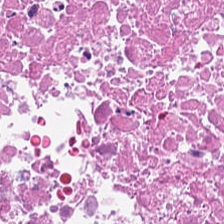Stain: H&E.
Predominant tissue: cellular debris.
